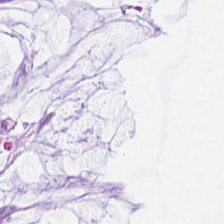H&E stain.
Q: What tissue type is shown here?
A: This is mucus.
